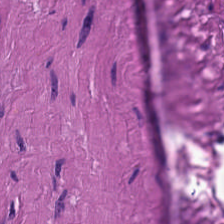Stain: hematoxylin-and-eosin stained section.
Tissue class: smooth muscle.
